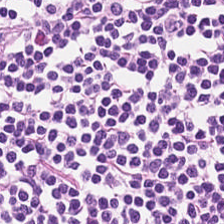0.5 µm/px; H&E stain; FFPE tissue section — The predominant tissue is lymphocytic infiltrate.
